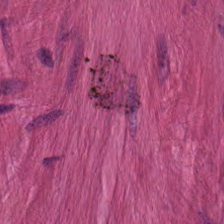Brightfield; H&E — Histology → smooth-muscle tissue.
